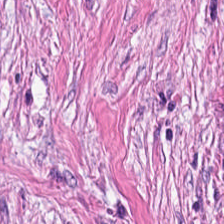Tissue class: tumor stroma.
